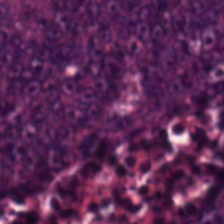H&E. This patch shows colorectal adenocarcinoma.
